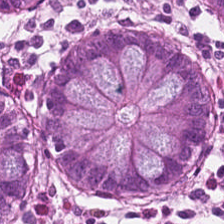H&E — Impression → normal colonic mucosa.
